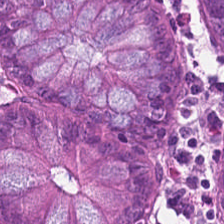H&E stain; brightfield microscopy.
This field is benign colonic mucosa.
